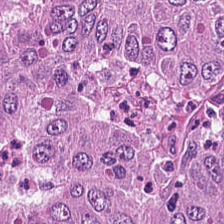H&E stain. The classification is colorectal adenocarcinoma.
